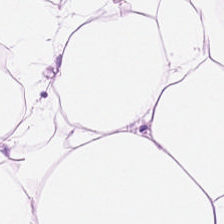H&E-stained tissue section. Predominantly adipocytes.
